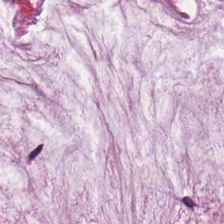0.5 µm per pixel. H&E.
Finding — extracellular mucin.
